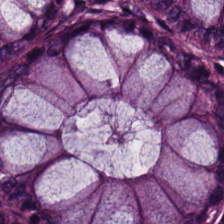Hematoxylin-and-eosin stained section · 224×224 px tile.
Predominant tissue: normal colon mucosa.
